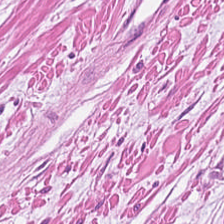{"tissue_type": "smooth muscle"}
